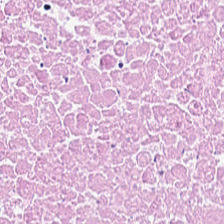H&E — This field is debris.
